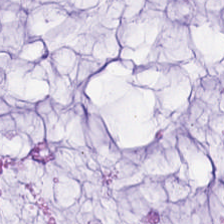Stain: hematoxylin-and-eosin stained section.
Resolution: 0.5 µm/px.
Predominant tissue: mucin.
